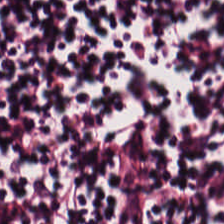Stain: H&E stain.
Tile size: 224×224 px tile.
Tissue type: lymphocytes.
